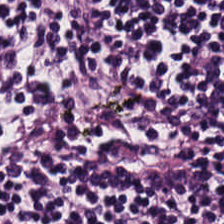Impression — lymphocytic infiltrate.
